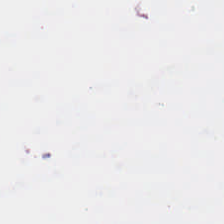H&E stain — Q: Classify this patch.
A: The field shows background (no tissue).
